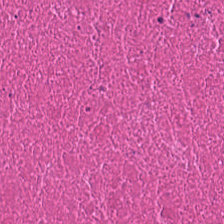Classification — necrotic debris.
